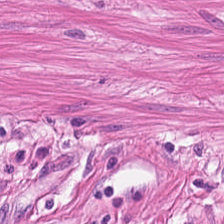Q: What type of tissue is this?
A: It is smooth muscle.
